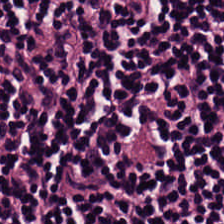Hematoxylin-and-eosin stained section. This field is lymphocytes.
